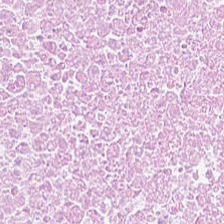H&E stain — The predominant tissue is debris.
